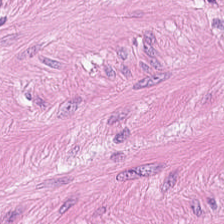H&E.
This patch shows smooth-muscle tissue.
